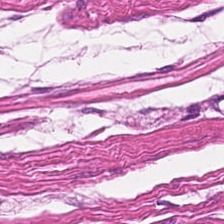224×224 pixel tile · H&E stain.
Finding — smooth muscle.
